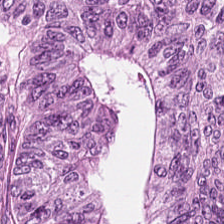WSI patch · hematoxylin and eosin. Predominant tissue — colorectal adenocarcinoma epithelium.
